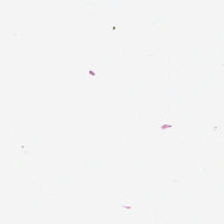H&E. Finding → no tissue.
